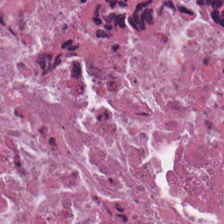H&E-stained tissue section.
The tissue here is debris.
